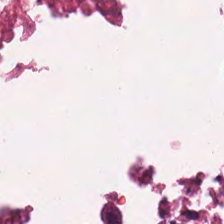Stain: H&E-stained tissue section.
Tissue type: necrotic debris.
